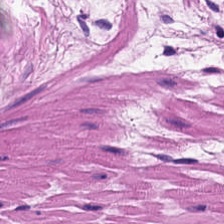Hematoxylin-and-eosin stained section · 224×224 px patch.
The predominant tissue is smooth-muscle tissue.
